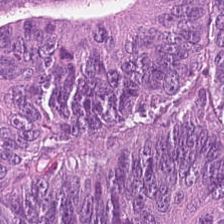H&E stain. Finding → colorectal adenocarcinoma.
